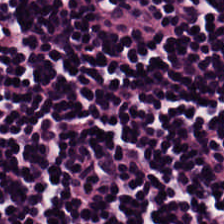FFPE tissue section; 224×224 px tile; hematoxylin and eosin.
Q: Identify the tissue.
A: This is lymphocyte aggregate.
